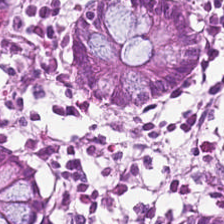H&E stain — Histology — benign colonic mucosa.
